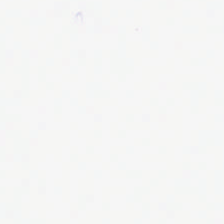Formalin-fixed paraffin-embedded section. H&E stain — No tissue.
